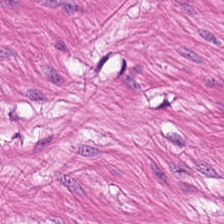The predominant tissue is muscularis.
